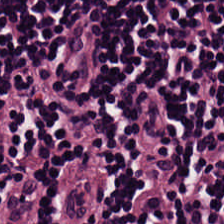Formalin-fixed paraffin-embedded section · H&E stain.
This patch shows lymphoid infiltrate.
